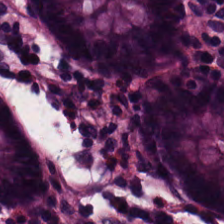224×224 pixel tile · H&E · formalin-fixed paraffin-embedded section. Q: What is the predominant tissue type?
A: It is benign colonic mucosa.
